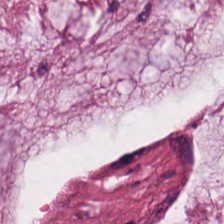The tissue is mucus.
